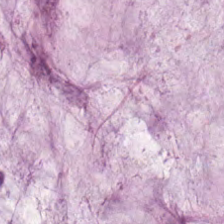0.5 microns per pixel; hematoxylin and eosin — Predominantly mucin.
